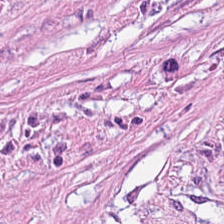H&E.
This field is cancer-associated stroma.
